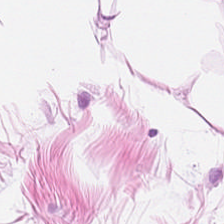H&E stain. 224×224 pixel tile.
Predominant tissue: adipose.
